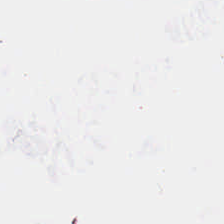Impression → no tissue.
